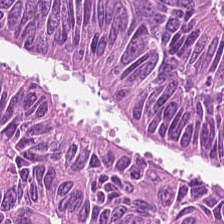Stain: hematoxylin-and-eosin stained section.
Preparation: FFPE tissue section.
Classification: adenocarcinoma.
